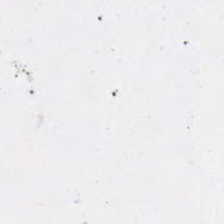224×224 pixel tile; 0.5 µm/px; H&E. This field is background (no tissue).
